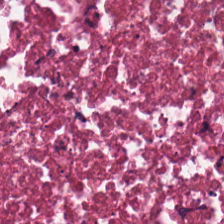H&E. Q: What is the predominant tissue type?
A: This is debris.
